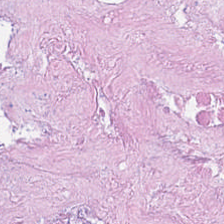Q: What tissue is shown?
A: It is necrotic debris.
